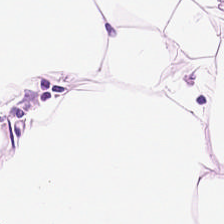Hematoxylin-and-eosin stained section — The classification is adipocytes.
